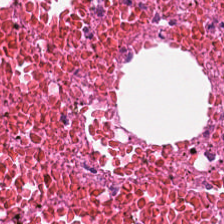0.5 microns per pixel · H&E-stained tissue section — Q: What tissue is shown?
A: This is necrotic debris.
